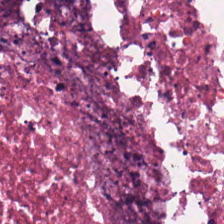The tissue here is necrotic debris.
